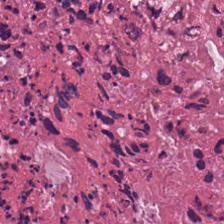FFPE. 20× equivalent magnification. H&E stain — The tissue here is necrotic debris.
